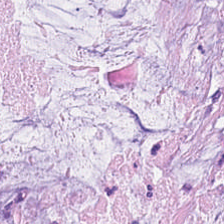Hematoxylin-and-eosin stained section.
The classification is extracellular mucin.
